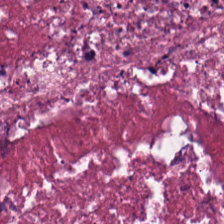224×224 px tile; brightfield; H&E.
Classification — cellular debris.
